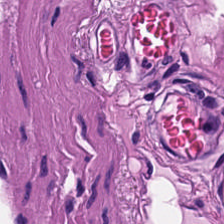Q: What is the predominant tissue type?
A: This is smooth muscle.
